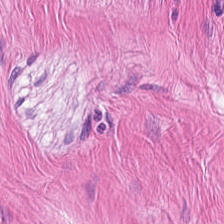Hematoxylin and eosin.
Predominantly smooth muscle.
